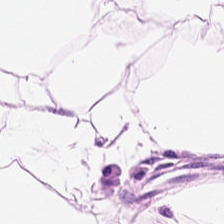Showing adipose tissue.
